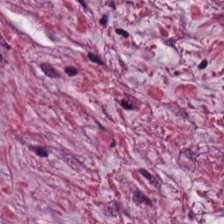H&E · 224×224 px patch.
Showing tumor-associated stroma.
